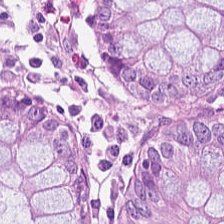Stain: H&E stain.
Classification: normal colonic mucosa.
